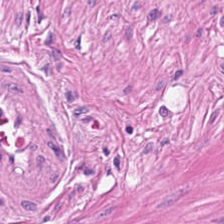H&E.
The predominant tissue is muscularis.
